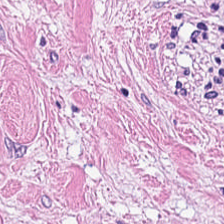FFPE. H&E stain. 20× equivalent magnification. The predominant tissue is cancer-associated stroma.
